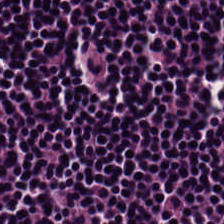Stain: hematoxylin-and-eosin stained section.
Resolution: 0.5 µm per pixel.
Preparation: FFPE.
Predominant tissue: lymphoid infiltrate.
